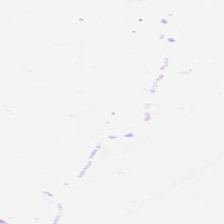H&E stain. 224×224 px patch. Q: Classify this patch.
A: The field shows background (no tissue).
